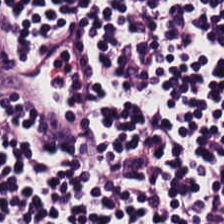224×224 px patch · H&E stain · FFPE. Predominant tissue — lymphocytes.
